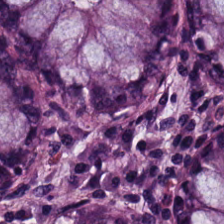Stain: hematoxylin and eosin.
Predominant tissue: normal colonic mucosa.
